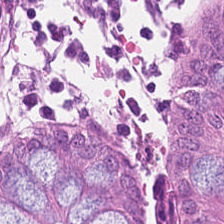Hematoxylin-and-eosin stained section. Histology → non-neoplastic colon mucosa.
